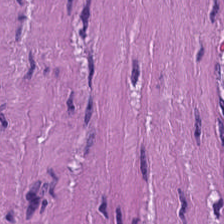Hematoxylin and eosin. 0.5 µm/px. Whole-slide-image patch — This field is smooth-muscle tissue.
